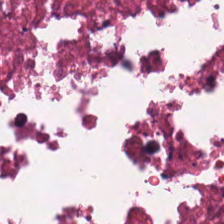0.5 µm per pixel · hematoxylin and eosin — Predominant tissue = necrotic debris.
